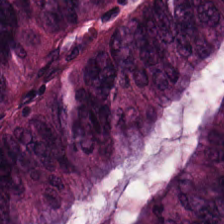Q: What is the predominant tissue type?
A: It is adenocarcinoma.
